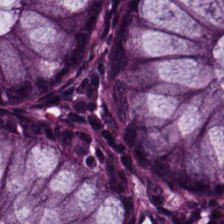Stain: H&E-stained tissue section.
Acquisition: brightfield.
Classification: normal colonic mucosa.
